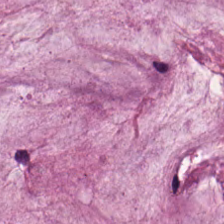H&E — Tissue type: mucus.
